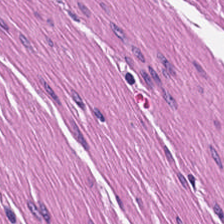This patch shows smooth muscle.
